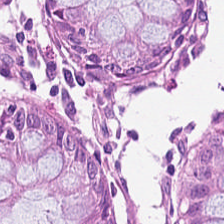Whole-slide-image patch. Hematoxylin and eosin. 224×224 px patch.
This patch shows normal colonic mucosa.
